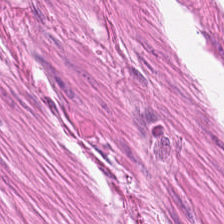Stain: hematoxylin-and-eosin stained section.
Tissue: smooth muscle.
